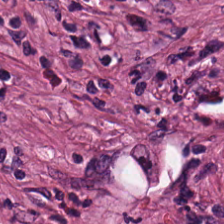Hematoxylin and eosin. The tissue class is tumor stroma.
